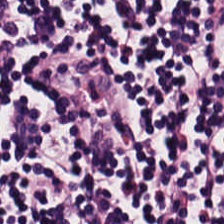Stain: H&E-stained tissue section.
Tile size: 224×224 px patch.
Classification: lymphoid infiltrate.
